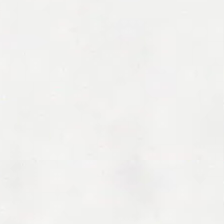H&E; FFPE tissue section. Empty background.
